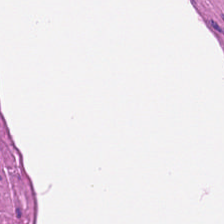Hematoxylin-and-eosin stained section · FFPE tissue section. Finding — muscularis.
